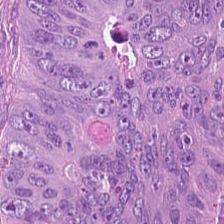Stain: H&E-stained tissue section.
Tissue: colorectal adenocarcinoma epithelium.
